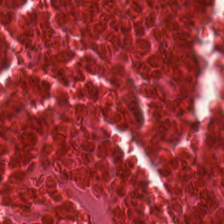H&E — debris.
